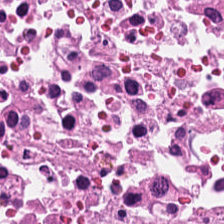H&E-stained tissue section. Tissue type = necrotic debris.
